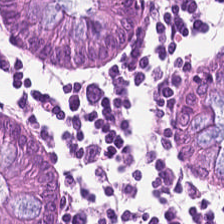Stain: H&E-stained tissue section.
Tissue class: non-neoplastic colon mucosa.
